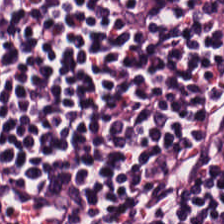Hematoxylin-and-eosin stained section; 224×224 px patch. Impression — lymphoid infiltrate.
